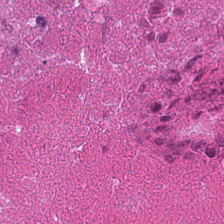Hematoxylin-and-eosin stained section. Q: Classify this patch.
A: It is debris.
